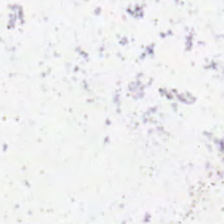Hematoxylin and eosin. Field content = background.
